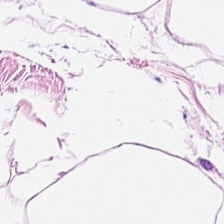Hematoxylin-and-eosin section: fat tissue.
